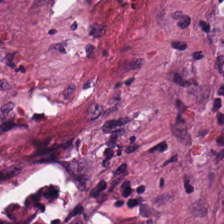H&E stain. FFPE. Q: Classify this patch.
A: This is desmoplastic stroma.
